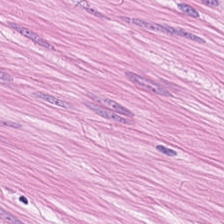Stain: H&E-stained tissue section.
Preparation: formalin-fixed paraffin-embedded section.
Tissue class: smooth-muscle tissue.
